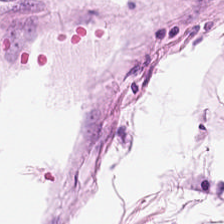Q: What tissue is shown?
A: It is fat tissue.
